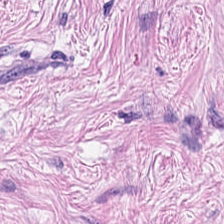FFPE tissue section · H&E · 20× equivalent magnification. The predominant tissue is tumor stroma.
